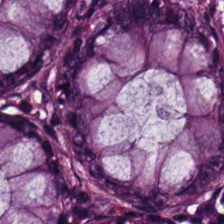H&E · 224×224 px tile. Classification — benign colonic mucosa.
